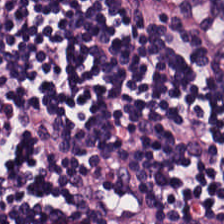H&E-stained tissue section — Q: What type of tissue is this?
A: It is lymphocytic infiltrate.
